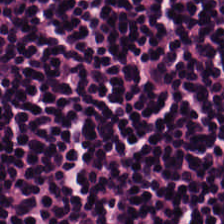Hematoxylin-and-eosin stained section — {"tissue_type": "lymphocytic infiltrate"}
